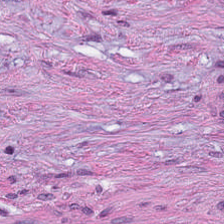FFPE. Hematoxylin-and-eosin stained section — {"tissue_type": "cancer-associated stroma"}
